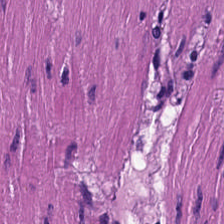Predominant tissue — smooth-muscle tissue.
